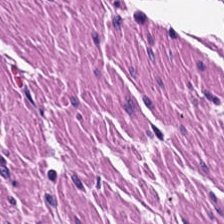Histology — muscularis.
